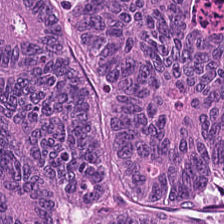FFPE tissue section. H&E — Q: What is shown in this field?
A: This is adenocarcinoma.
